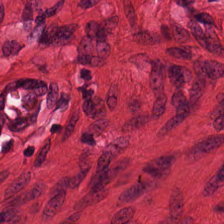The classification is smooth-muscle tissue.
